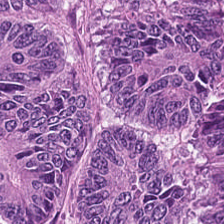{"tissue_type": "malignant epithelium"}
